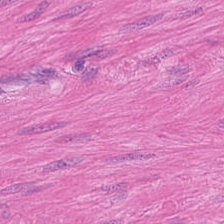0.5 µm per pixel. H&E-stained tissue section. Brightfield — The tissue here is muscularis.
